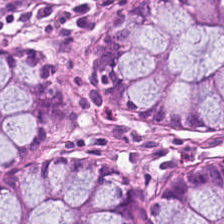Stain: hematoxylin-and-eosin stained section.
Tissue: normal colon mucosa.
